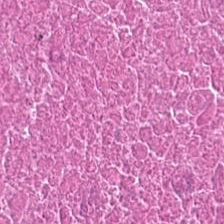Stain: H&E-stained tissue section.
Classification: cellular debris.
